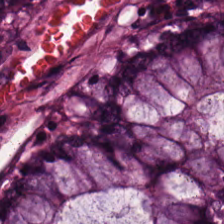Hematoxylin and eosin.
Q: What type of tissue is this?
A: Normal colonic mucosa.
